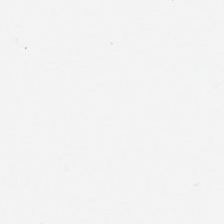0.5 µm/px. H&E-stained tissue section. Whole-slide-image patch. {"content": "no tissue"}
